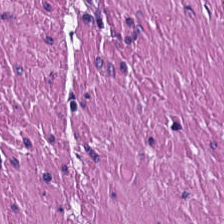H&E stain. Q: What tissue type is shown here?
A: It is muscularis.
